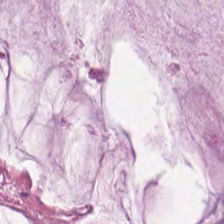H&E-stained tissue section.
Impression — mucin.
